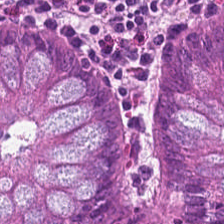H&E — The predominant tissue is normal colon mucosa.
